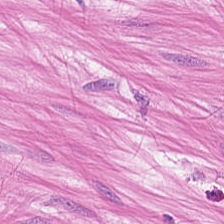Brightfield microscopy · H&E.
The predominant tissue is smooth-muscle tissue.
